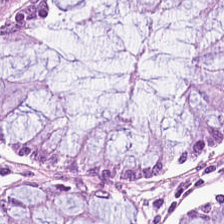Non-neoplastic colon mucosa.
